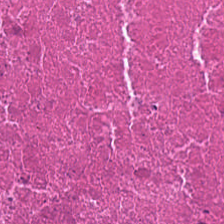H&E stain.
Q: What is shown in this field?
A: It is debris.
